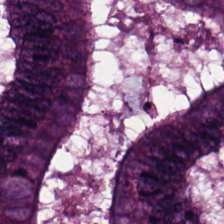H&E stain — Impression → colorectal adenocarcinoma.
